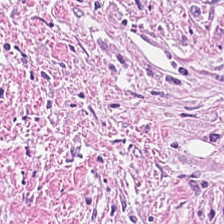Hematoxylin-and-eosin stained section. 20× equivalent magnification — This patch shows tumor stroma.
